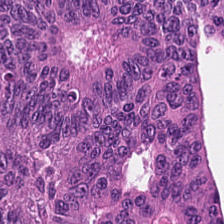H&E stain. 0.5 microns per pixel — Q: Classify this patch.
A: It is tumor epithelium.
